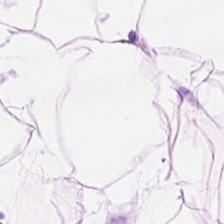Stain: H&E stain.
Tissue: adipocytes.
